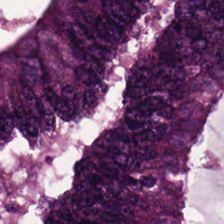H&E stain. Tissue class: colorectal adenocarcinoma.
